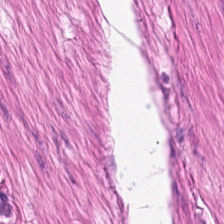Hematoxylin and eosin · 0.5 µm per pixel · 224×224 px patch — Tissue class = smooth-muscle tissue.
